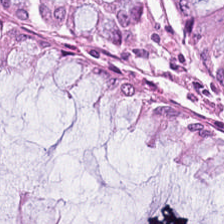Stain: hematoxylin-and-eosin stained section.
Preparation: FFPE tissue section.
Classification: non-neoplastic colon mucosa.
